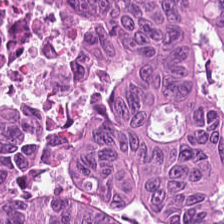H&E stain — Tissue type = adenocarcinoma.
